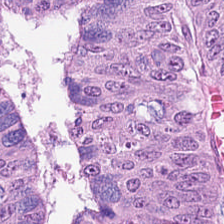H&E. Q: What is shown in this field?
A: The field shows colorectal adenocarcinoma.
